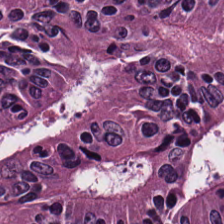H&E stain.
This field is tumor epithelium.
